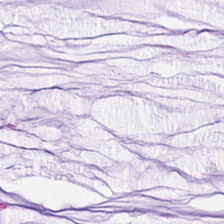Hematoxylin and eosin. Showing mucus.
